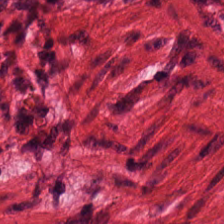Hematoxylin and eosin. FFPE tissue section. Predominantly muscularis.
